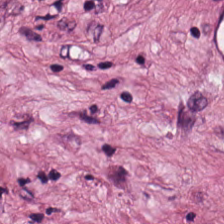Hematoxylin-and-eosin stained section. Q: What is shown here?
A: This is tumor stroma.
